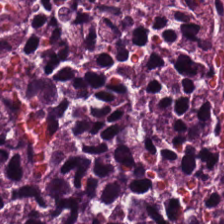WSI patch · H&E stain — This patch shows lymphoid infiltrate.
